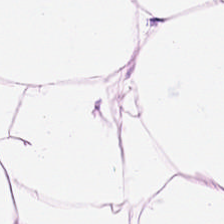H&E stain — Histology → adipocytes.
